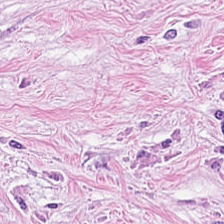H&E-stained tissue section; brightfield microscopy.
Predominantly tumor-associated stroma.
